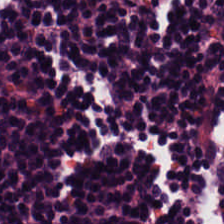H&E-stained tissue section.
This patch shows lymphocytic infiltrate.
